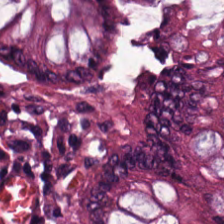H&E.
Impression → non-neoplastic colon mucosa.
